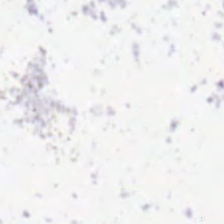H&E stain. Content — background.
